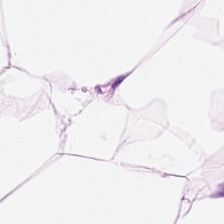H&E-stained tissue section.
Q: What tissue is shown?
A: This is fat tissue.
